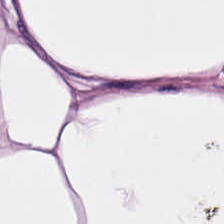Tissue class = adipose tissue.
